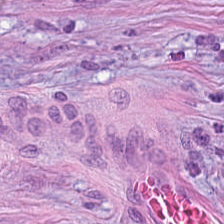H&E-stained tissue section showing desmoplastic stroma.
